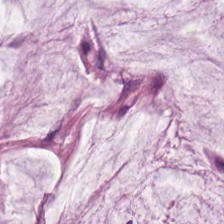H&E stain · brightfield — Q: What tissue is shown?
A: It is extracellular mucin.
